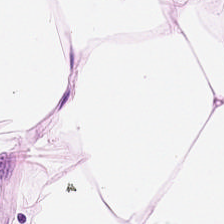Stain: H&E stain.
Acquisition: brightfield microscopy.
Tissue type: adipose tissue.
